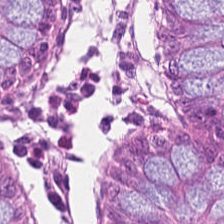H&E-stained section; the field shows normal colon mucosa.
